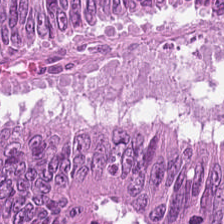Hematoxylin and eosin — The tissue here is adenocarcinoma.
